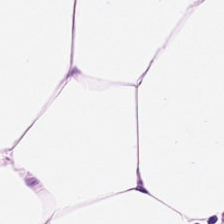Predominant tissue: adipose.
